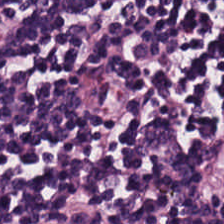Hematoxylin and eosin. The tissue here is lymphoid infiltrate.
